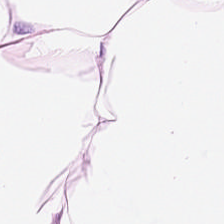Finding — adipose.
